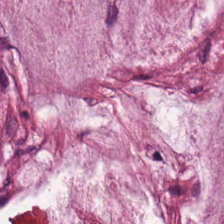Whole-slide-image patch; hematoxylin and eosin; 20× equivalent magnification.
Predominantly mucus.
